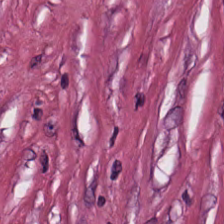FFPE tissue section; 0.5 µm/px; hematoxylin and eosin — Tissue — desmoplastic stroma.
